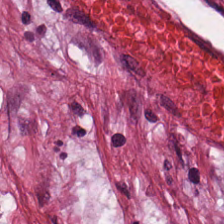H&E-stained tissue section — Q: Classify this patch.
A: The field shows cancer-associated stroma.
